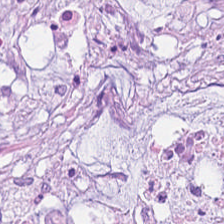H&E. Tissue: mucin.
